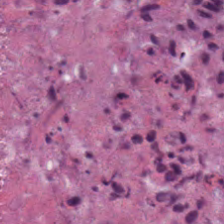Impression → debris.
